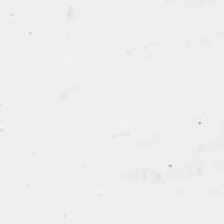224×224 pixel tile; hematoxylin and eosin — Background — no tissue in this field.
